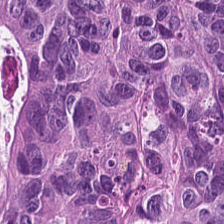Stain: hematoxylin-and-eosin stained section.
Acquisition: brightfield.
Tissue: tumor epithelium.
